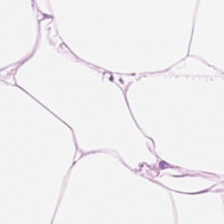224×224 px tile · 20× equivalent magnification · H&E stain. Classification — adipocytes.
